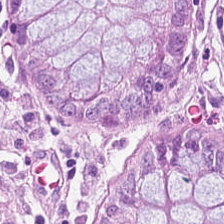H&E — This patch shows normal colonic mucosa.
